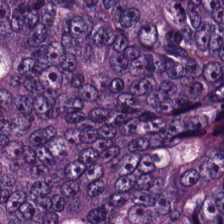Hematoxylin and eosin. The tissue here is tumor epithelium.
